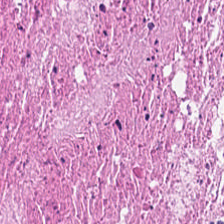Hematoxylin-and-eosin stained section. FFPE tissue section — {"tissue_type": "necrotic debris"}
